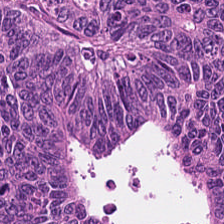Stain: hematoxylin and eosin.
Tissue: tumor epithelium.
